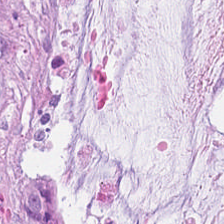Whole-slide-image patch; H&E. This field is extracellular mucin.
